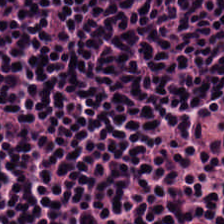H&E-stained tissue section — Q: What is the predominant tissue type?
A: It is lymphocytes.
